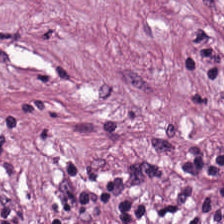Hematoxylin-and-eosin stained section. This patch shows cancer-associated stroma.
